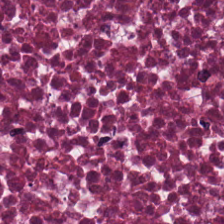H&E-stained section; the field shows cellular debris.
